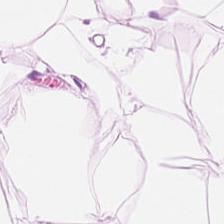Stain: H&E stain.
Classification: fat tissue.
